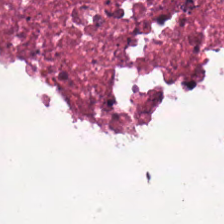Stain: H&E-stained tissue section.
Tissue: necrotic debris.
